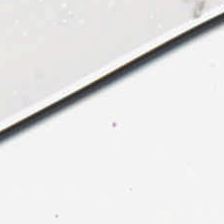FFPE. 20× equivalent magnification. Hematoxylin and eosin.
Q: What does this patch show?
A: It is empty background.
